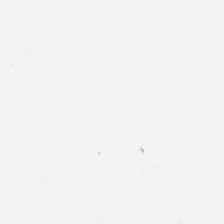Stain: hematoxylin-and-eosin stained section.
Content: no tissue.
